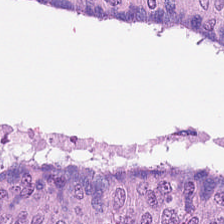Hematoxylin and eosin. Tissue — malignant epithelium.
